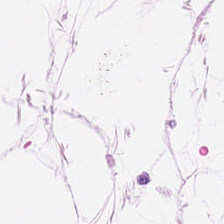Hematoxylin and eosin. Formalin-fixed paraffin-embedded section.
Tissue: fat tissue.
